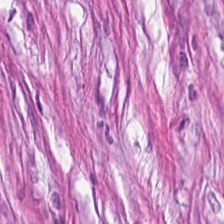H&E-stained tissue section — Histology — desmoplastic stroma.
